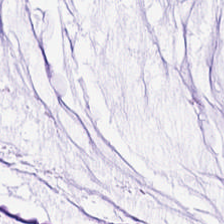Hematoxylin-and-eosin stained section. Predominantly mucus.
